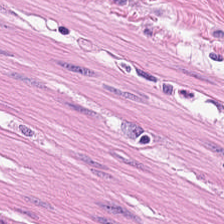H&E stain.
{"tissue_type": "smooth muscle"}
